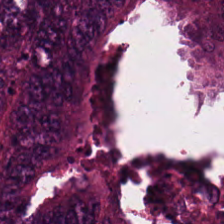H&E stain. This patch shows tumor epithelium.
